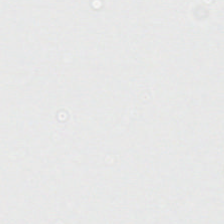H&E-stained tissue section.
Classification = background (no tissue).
